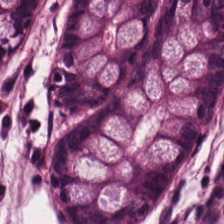{"tissue_type": "normal colonic mucosa"}
